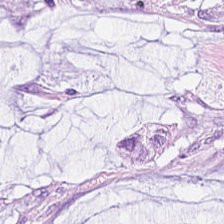Hematoxylin-and-eosin stained section — Q: Identify the tissue.
A: The field shows extracellular mucin.
